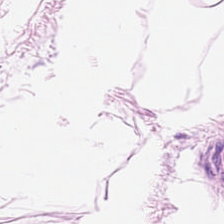H&E — Predominantly adipocytes.
